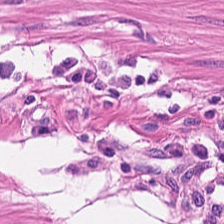H&E-stained tissue section — Classification = smooth muscle.
